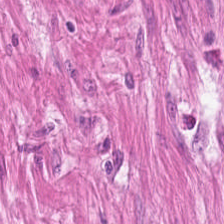Hematoxylin-and-eosin stained section. FFPE tissue section. Tissue class: muscularis.
